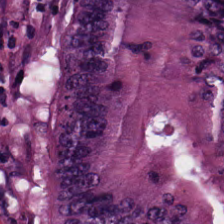H&E-stained tissue section. This patch shows malignant epithelium.
